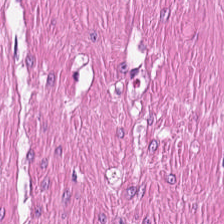Brightfield microscopy · hematoxylin-and-eosin stained section · 224×224 pixel tile.
{"tissue_type": "muscularis"}
